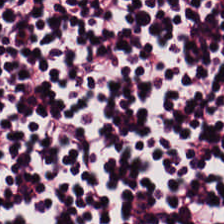H&E-stained tissue section · whole-slide-image patch · FFPE. Classification — lymphocytic infiltrate.
